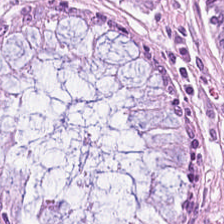Q: What tissue type is shown here?
A: Non-neoplastic colon mucosa.
